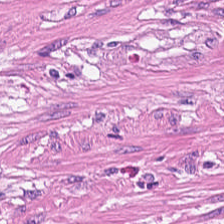H&E-stained tissue section.
Q: What is shown in this field?
A: The field shows smooth-muscle tissue.
